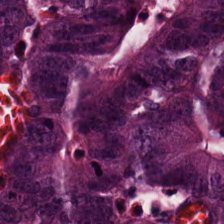Brightfield microscopy · hematoxylin and eosin — Q: What type of tissue is this?
A: This is adenocarcinoma.
